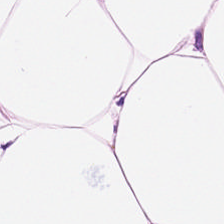H&E-stained tissue section. The tissue here is adipocytes.
